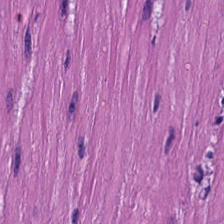Stain: hematoxylin-and-eosin stained section.
Tissue type: muscularis.
